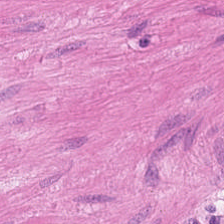Hematoxylin and eosin · brightfield microscopy. The tissue type is smooth muscle.
